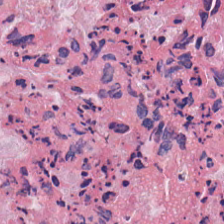20× equivalent magnification. Hematoxylin and eosin.
Predominantly necrotic debris.
